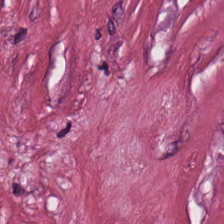Hematoxylin-and-eosin stained section. WSI patch.
The tissue type is desmoplastic stroma.
